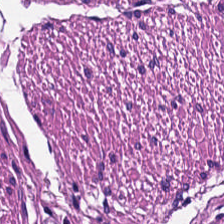The predominant tissue is muscularis.
